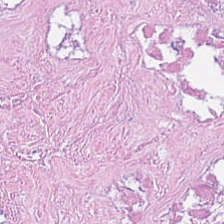H&E. Classification = debris.
